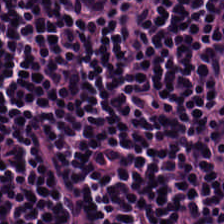Hematoxylin-and-eosin section: lymphocytes.
